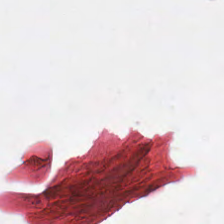H&E-stained tissue section; FFPE; 224×224 px tile — Histology — no tissue.
